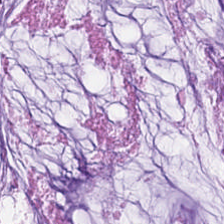H&E stain. The tissue here is extracellular mucin.
